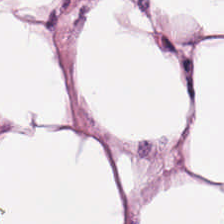Hematoxylin and eosin.
{"tissue_type": "fat tissue"}
